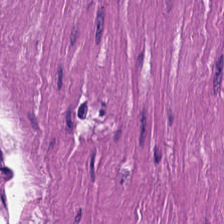Hematoxylin-and-eosin stained section. 0.5 microns per pixel. 224×224 px patch.
This patch shows smooth muscle.
